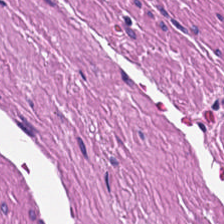H&E-stained tissue section; 224×224 pixel tile.
Q: What type of tissue is this?
A: The field shows muscularis.
